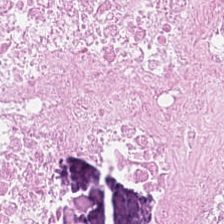224×224 px patch · hematoxylin and eosin — Tissue type — cellular debris.
